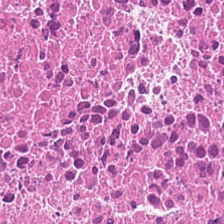Hematoxylin-and-eosin stained section. Tissue type — debris.
